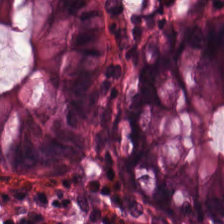Stain: H&E-stained tissue section.
Tissue type: normal colon mucosa.
